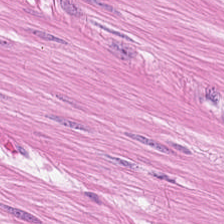H&E — Q: What tissue type is shown here?
A: This is smooth muscle.
